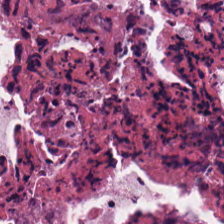Classification — cellular debris.
